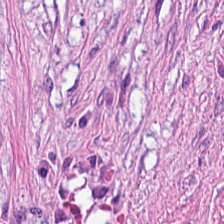Predominant tissue: tumor-associated stroma.
